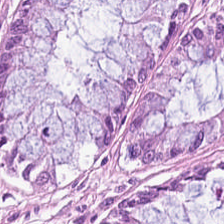H&E — Tissue class: normal colon mucosa.
